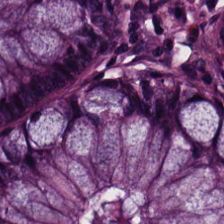0.5 µm/px · hematoxylin and eosin. Q: Classify this patch.
A: This is non-neoplastic colon mucosa.
